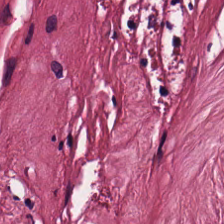Hematoxylin and eosin — Showing tumor stroma.
